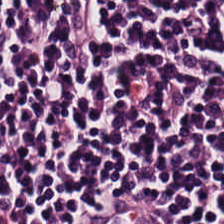224×224 px patch · brightfield · H&E-stained tissue section — Q: What is shown here?
A: This is lymphoid infiltrate.
